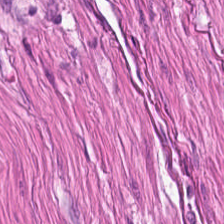H&E stain. 224×224 px tile — This field is smooth-muscle tissue.
